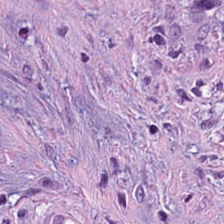Hematoxylin-and-eosin stained section. 224×224 px tile — Showing tumor stroma.
